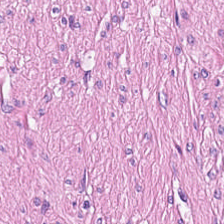H&E stain; 0.5 microns per pixel; 224×224 pixel tile.
This field is smooth-muscle tissue.
